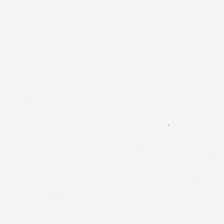H&E stain.
Content: background (no tissue).
